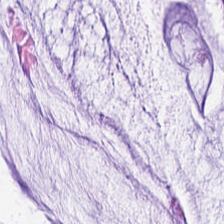FFPE tissue section · H&E-stained tissue section — The tissue type is mucus.
